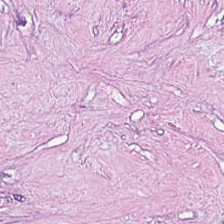Tissue type = cellular debris.
